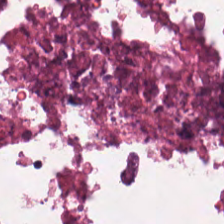Impression — necrotic debris.
